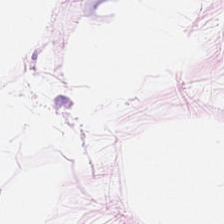Hematoxylin and eosin.
This field is adipose tissue.
